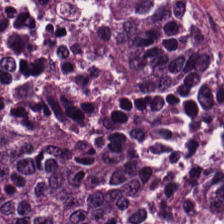Stain: H&E-stained tissue section.
Resolution: 20× equivalent magnification.
Tissue: colorectal adenocarcinoma epithelium.
